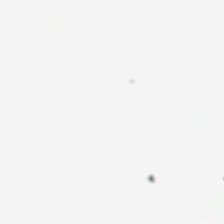No tissue present; background only.
